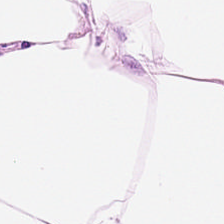H&E-stained tissue section; 224×224 pixel tile; formalin-fixed paraffin-embedded section. {"tissue_type": "adipose"}
